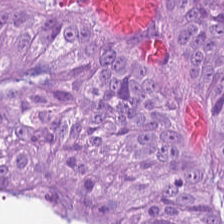H&E. Impression → malignant epithelium.
